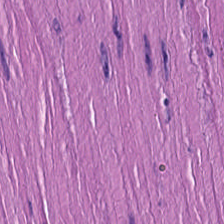WSI patch. H&E — Q: What tissue type is shown here?
A: It is smooth muscle.
